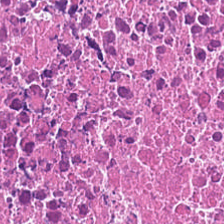Hematoxylin and eosin — The predominant tissue is cellular debris.
